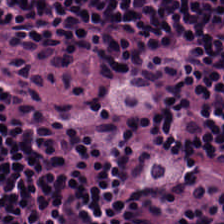H&E-stained tissue section. Tissue = lymphocytic infiltrate.
